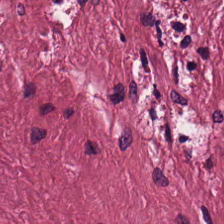0.5 µm per pixel · FFPE tissue section · hematoxylin and eosin. Showing tumor-associated stroma.
